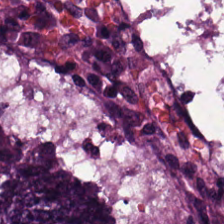Hematoxylin and eosin · 224×224 pixel tile.
{"tissue_type": "adenocarcinoma"}
